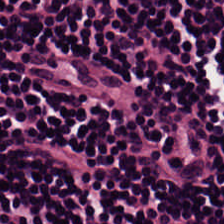H&E stain.
Q: What is the predominant tissue type?
A: It is lymphocytic infiltrate.
